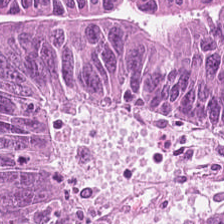The predominant tissue is adenocarcinoma.
